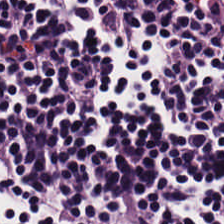Stain: H&E stain.
Resolution: 20× equivalent magnification.
Acquisition: whole-slide-image patch.
Predominant tissue: lymphocytes.
